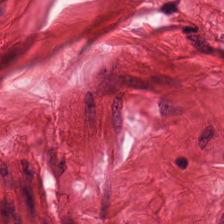224×224 px patch. Hematoxylin and eosin. Formalin-fixed paraffin-embedded section. The predominant tissue is muscularis.
